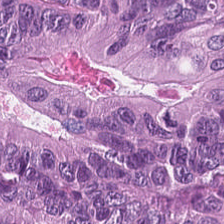H&E — colorectal adenocarcinoma epithelium.
